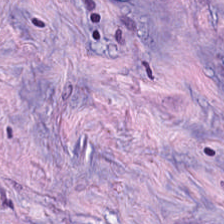Formalin-fixed paraffin-embedded section; H&E-stained tissue section. Tumor stroma.
